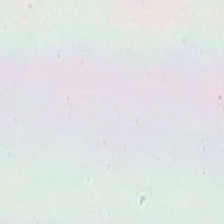Hematoxylin-and-eosin stained section · 20× equivalent magnification — Content: background (no tissue).
